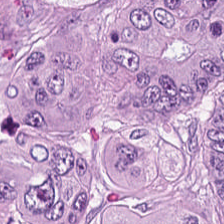Stain: H&E-stained tissue section.
Resolution: 0.5 microns per pixel.
Classification: tumor epithelium.
